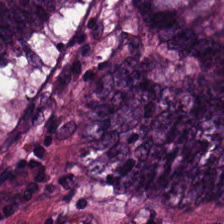224×224 px tile. Hematoxylin-and-eosin stained section. Brightfield. The tissue here is tumor epithelium.
